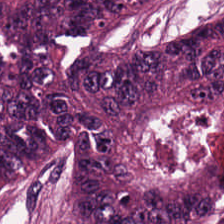Q: What is shown here?
A: Tumor epithelium.
